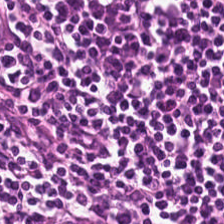FFPE tissue section · 224×224 px patch · hematoxylin and eosin. The tissue class is lymphoid infiltrate.
